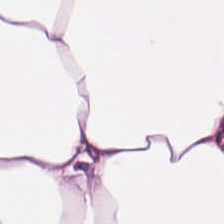H&E; 224×224 pixel tile; 0.5 µm per pixel.
Classification = adipose tissue.
